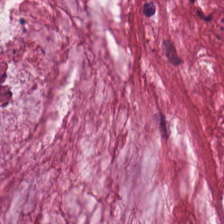20× equivalent magnification; hematoxylin-and-eosin stained section.
Q: What does this patch show?
A: The field shows mucin.
